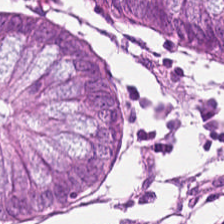H&E-stained tissue section. {"tissue_type": "non-neoplastic colon mucosa"}
